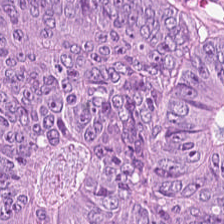H&E stain. 20× equivalent magnification. Predominantly malignant epithelium.
